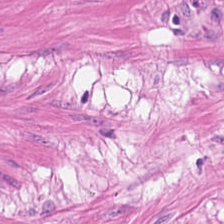H&E stain. 224×224 pixel tile. FFPE tissue section. This patch shows smooth-muscle tissue.
